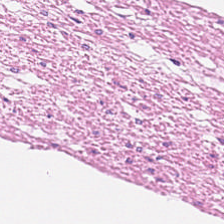Hematoxylin-and-eosin stained section · FFPE tissue section — This field is muscularis.
